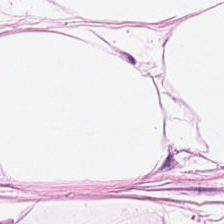Q: Identify the tissue.
A: This is adipocytes.
